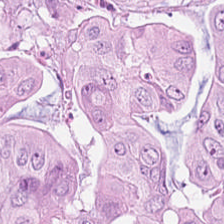Hematoxylin and eosin.
This patch shows colorectal adenocarcinoma epithelium.
